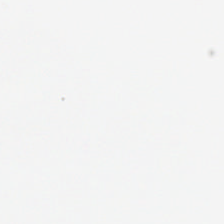This patch shows background.
